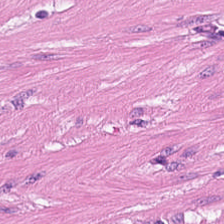H&E stain. Q: What does this patch show?
A: It is muscularis.
